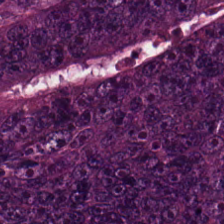224×224 px tile; formalin-fixed paraffin-embedded section; hematoxylin and eosin — Q: What tissue is shown?
A: It is colorectal adenocarcinoma.
